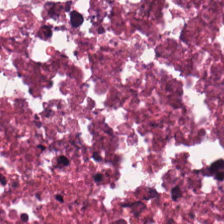Stain: H&E-stained tissue section.
Resolution: 0.5 microns per pixel.
Classification: necrotic debris.
